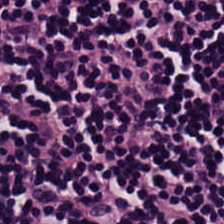H&E — This patch shows lymphocytic infiltrate.
